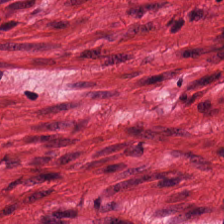FFPE tissue section; whole-slide-image patch; H&E — Histology → smooth muscle.
